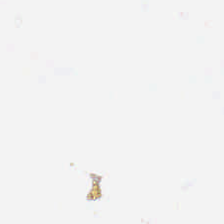0.5 microns per pixel. Hematoxylin and eosin — Q: What does this patch show?
A: The field shows empty background.
